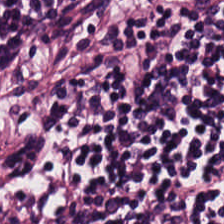Hematoxylin and eosin.
Showing lymphocytic infiltrate.
